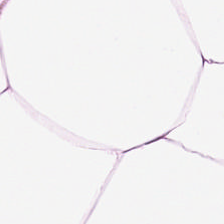Stain: hematoxylin-and-eosin stained section.
Preparation: FFPE.
Classification: adipose tissue.
